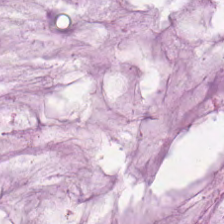Stain: hematoxylin-and-eosin stained section.
Acquisition: brightfield.
Tissue: extracellular mucin.
